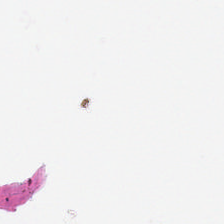H&E. Q: What is shown in this field?
A: It is background (no tissue).
